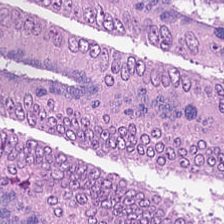H&E stain.
Impression → adenocarcinoma.
